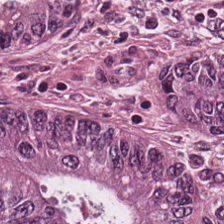H&E-stained tissue section.
This field is adenocarcinoma.
